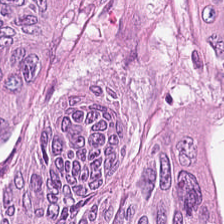Hematoxylin-and-eosin stained section.
Tissue class — malignant epithelium.
